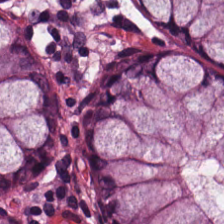Hematoxylin-and-eosin section: normal colon mucosa.
